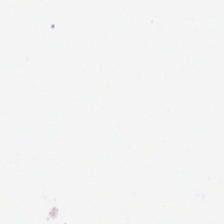H&E. FFPE tissue section. 224×224 pixel tile — Empty field — empty background.
